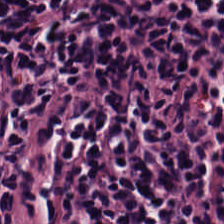H&E-stained tissue section.
Q: Identify the tissue.
A: The field shows lymphocytic infiltrate.
